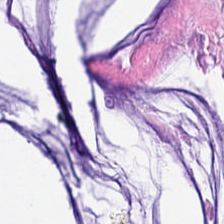{"tissue_type": "mucus"}
